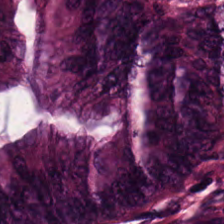The tissue is malignant epithelium.
